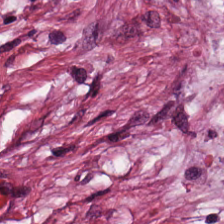Hematoxylin-and-eosin stained section · 224×224 px tile — The tissue here is desmoplastic stroma.
